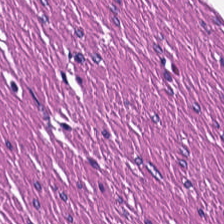The classification is muscularis.
